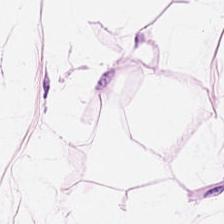Hematoxylin and eosin. Adipocytes.
